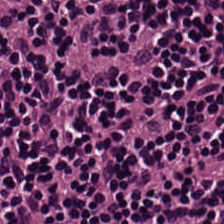Q: Identify the tissue.
A: Lymphocytic infiltrate.
